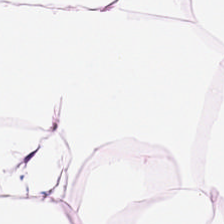The tissue is adipose tissue.
